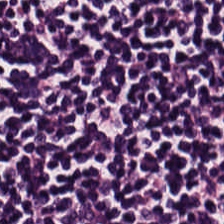H&E stain. WSI patch. 0.5 microns per pixel — The predominant tissue is lymphocytic infiltrate.
